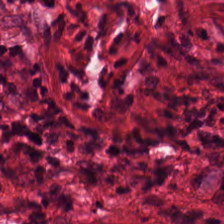H&E stain — The tissue is tumor stroma.
